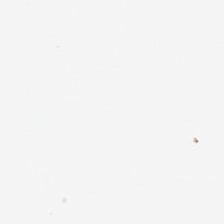Q: What is shown in this field?
A: This is background (no tissue).
